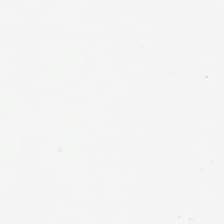This patch shows background.
